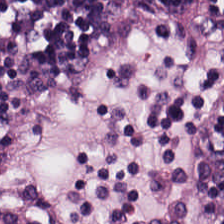Hematoxylin-and-eosin stained section; WSI patch. Tissue type = lymphocytic infiltrate.
